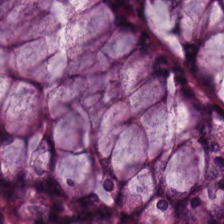Hematoxylin-and-eosin stained section. Q: What tissue is shown?
A: The field shows normal colonic mucosa.
